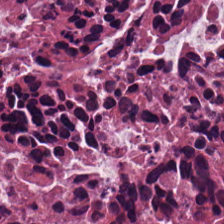H&E. Formalin-fixed paraffin-embedded section. Q: What type of tissue is this?
A: It is necrotic debris.
